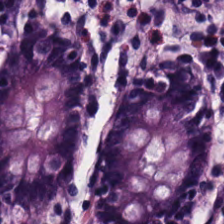Impression → benign colonic mucosa.
